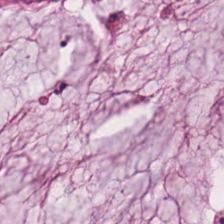Stain: H&E.
Tissue class: extracellular mucin.
